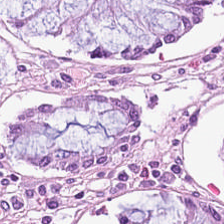Hematoxylin and eosin. Formalin-fixed paraffin-embedded section. 0.5 microns per pixel. Q: What is shown in this field?
A: It is non-neoplastic colon mucosa.
